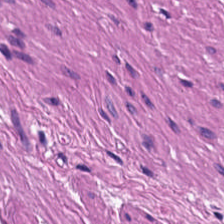Hematoxylin-and-eosin stained section. Tissue — smooth muscle.
